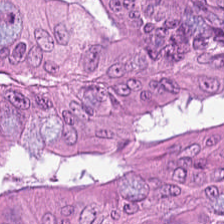Hematoxylin-and-eosin stained section. Adenocarcinoma.
